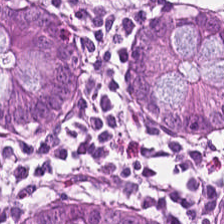H&E-stained tissue section — Normal colonic mucosa.
